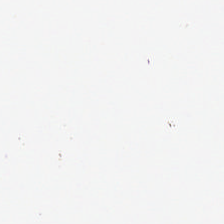H&E-stained tissue section — Background — no tissue in this field.
